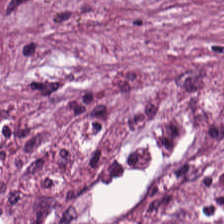Hematoxylin-and-eosin stained section; 20× equivalent magnification.
This field is cancer-associated stroma.
